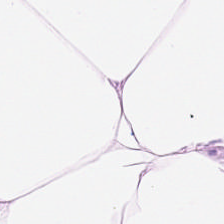0.5 µm per pixel. H&E-stained tissue section.
The predominant tissue is adipocytes.
